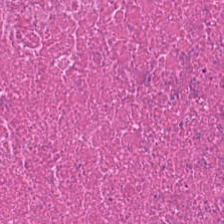H&E. {"tissue_type": "debris"}
